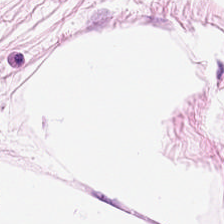Classification: adipose.
